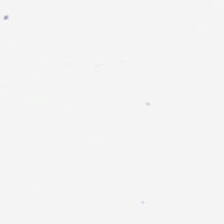Stain: hematoxylin-and-eosin stained section.
Tile size: 224×224 pixel tile.
Content: no tissue.
